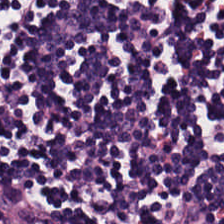Stain: hematoxylin-and-eosin stained section.
Tissue: lymphoid infiltrate.
